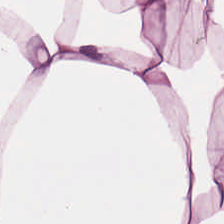H&E · 224×224 px tile. Predominant tissue = adipose.
